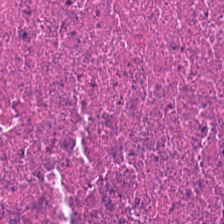H&E-stained tissue section. Whole-slide-image patch — Tissue class = necrotic debris.
